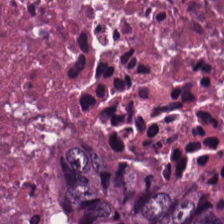H&E.
Tissue = necrotic debris.
